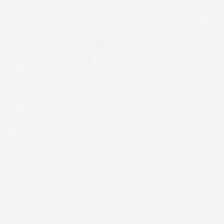This patch shows background (no tissue).
